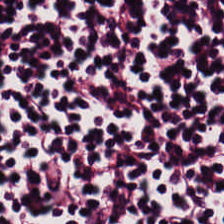H&E — lymphocytes.
